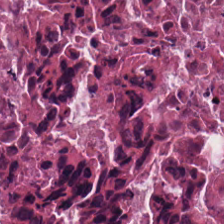FFPE tissue section. H&E stain. {"tissue_type": "cellular debris"}
